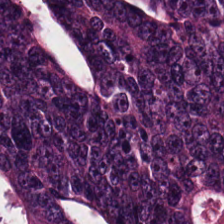0.5 µm per pixel; H&E — {"tissue_type": "malignant epithelium"}
